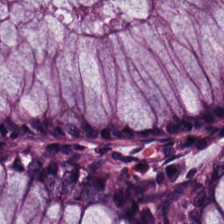H&E-stained tissue section. Q: What type of tissue is this?
A: Normal colonic mucosa.
